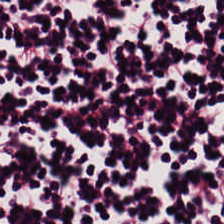H&E; 224×224 px tile.
Impression — lymphocytic infiltrate.
